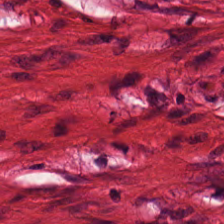H&E. Impression — smooth-muscle tissue.
